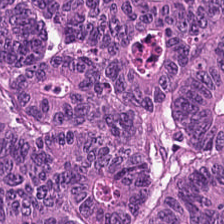H&E-stained section; the field shows tumor epithelium.
